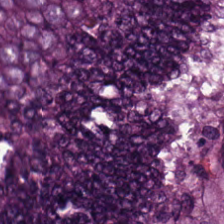Stain: hematoxylin and eosin.
Tissue class: colorectal adenocarcinoma.
